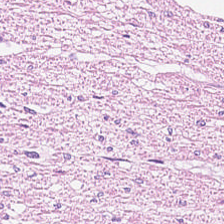Finding → smooth muscle.
